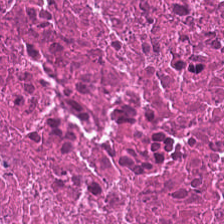224×224 px tile. H&E-stained tissue section.
The tissue type is debris.
